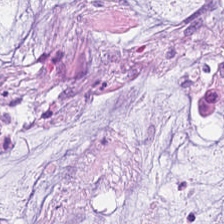H&E stain — The tissue class is mucus.
